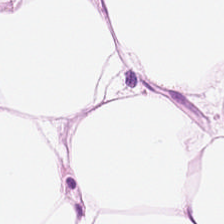H&E stain.
The tissue class is fat tissue.
